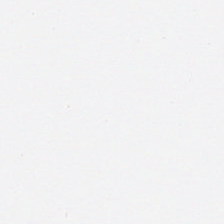Hematoxylin-and-eosin stained section; 224×224 px tile — Q: What is shown here?
A: It is empty background.
